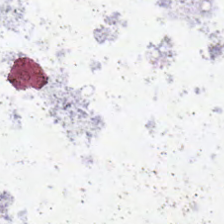H&E stain.
This patch shows no tissue.
